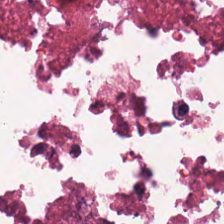Q: What is the predominant tissue type?
A: This is cellular debris.
